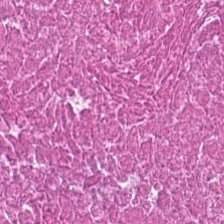This field is cellular debris.
